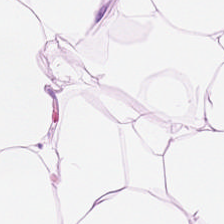WSI patch · FFPE tissue section · H&E-stained tissue section — Tissue type — adipose.
